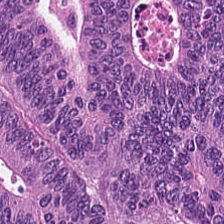Hematoxylin-and-eosin section: colorectal adenocarcinoma epithelium.
